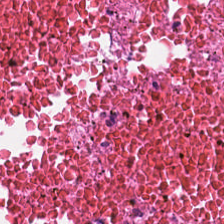FFPE. Hematoxylin and eosin — The tissue here is necrotic debris.
